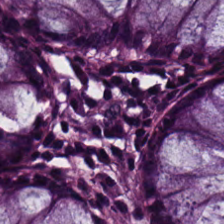FFPE · hematoxylin and eosin.
Q: Identify the tissue.
A: It is normal colon mucosa.
